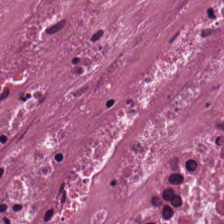Tissue type — necrotic debris.
